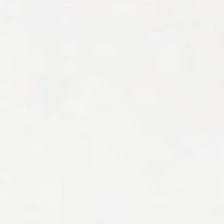Impression — empty background.
